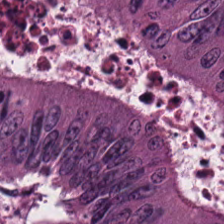H&E-stained tissue section — The predominant tissue is colorectal adenocarcinoma.
